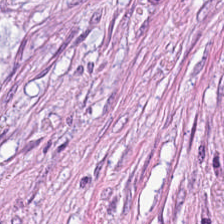Hematoxylin-and-eosin stained section; 224×224 px patch.
Showing cancer-associated stroma.
